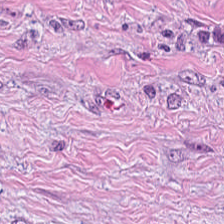H&E-stained tissue section — Tissue — tumor stroma.
